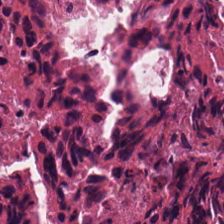H&E; 224×224 pixel tile. {"tissue_type": "debris"}
